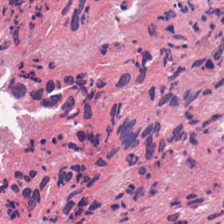Showing necrotic debris.
